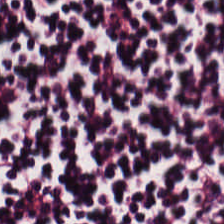H&E — Predominantly lymphoid infiltrate.
